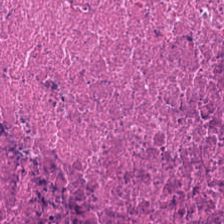Tissue type = debris.
